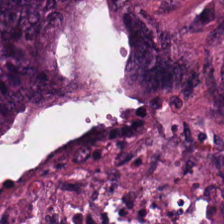Hematoxylin-and-eosin stained section — Histology — malignant epithelium.
